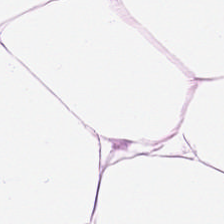Tissue — adipose tissue.
